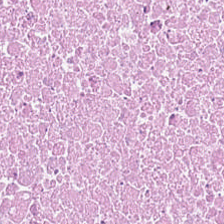Hematoxylin-and-eosin section: cellular debris.
